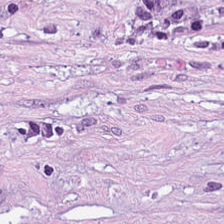Hematoxylin-and-eosin stained section.
The tissue is tumor-associated stroma.
